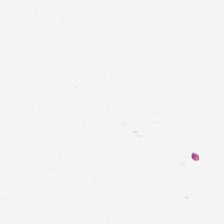H&E-stained tissue section.
{"content": "background (no tissue)"}
